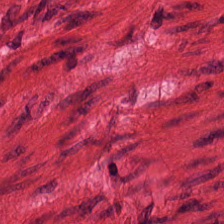H&E stain.
The tissue here is smooth muscle.
